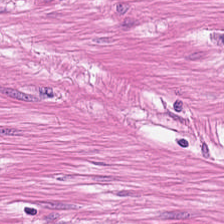The tissue here is muscularis.
